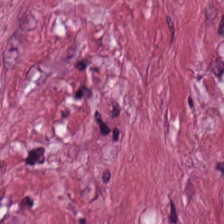H&E — cancer-associated stroma.
